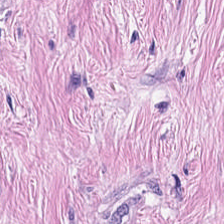H&E. Q: What is the predominant tissue type?
A: It is tumor stroma.
